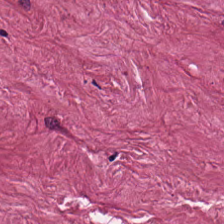Q: What type of tissue is this?
A: Tumor-associated stroma.
